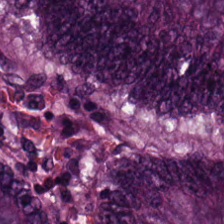H&E stain. 20× equivalent magnification. 224×224 pixel tile. This field is adenocarcinoma.
